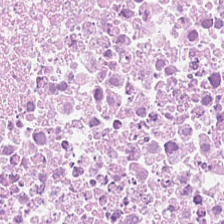H&E.
The tissue here is cellular debris.
